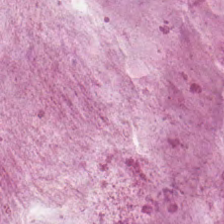Stain: H&E-stained tissue section.
Predominant tissue: extracellular mucin.
